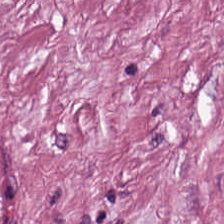Impression — desmoplastic stroma.
